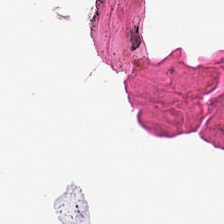H&E-stained tissue section.
Finding → background (no tissue).
